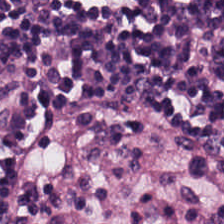0.5 µm/px. Hematoxylin and eosin. The predominant tissue is lymphocytes.
